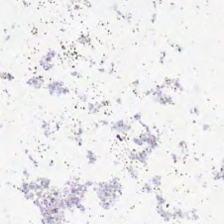H&E; formalin-fixed paraffin-embedded section; 224×224 pixel tile.
Background (no tissue).
